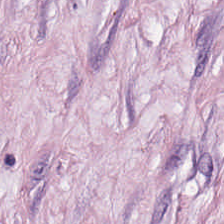Hematoxylin-and-eosin stained section. Tissue class: cancer-associated stroma.
